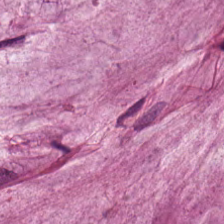Hematoxylin-and-eosin section: extracellular mucin.
